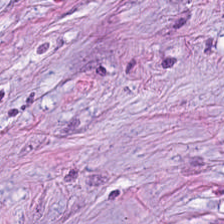H&E-stained tissue section.
Cancer-associated stroma.
